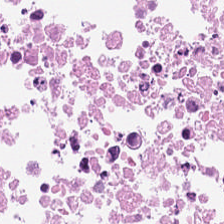Stain: H&E stain.
Tissue class: debris.
